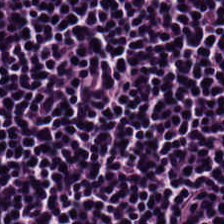Hematoxylin and eosin · 224×224 px patch.
Predominant tissue: lymphocytes.
